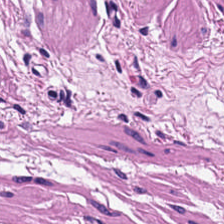H&E patch showing smooth-muscle tissue.
